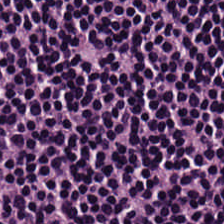Hematoxylin and eosin — Predominant tissue — lymphocytic infiltrate.
